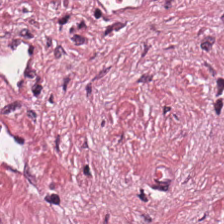0.5 microns per pixel; H&E stain.
Histology — tumor-associated stroma.
